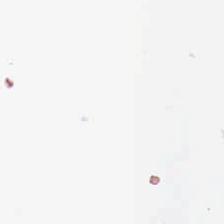Hematoxylin and eosin · 0.5 microns per pixel · FFPE. Classification: empty background.
